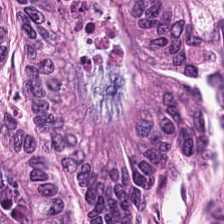H&E stain. Predominantly colorectal adenocarcinoma epithelium.
